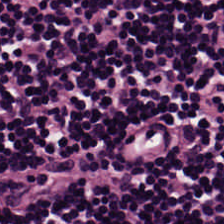H&E stain. Formalin-fixed paraffin-embedded section — Histology — lymphoid infiltrate.
